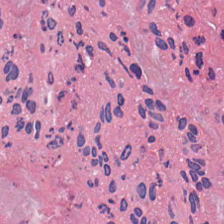Stain: hematoxylin-and-eosin stained section.
Tissue: debris.
